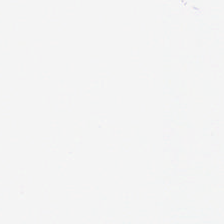H&E stain. Q: Classify this patch.
A: The field shows empty background.
